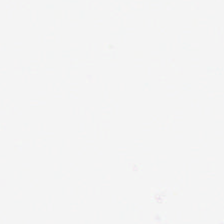Formalin-fixed paraffin-embedded section. 224×224 pixel tile. H&E-stained tissue section.
Histology → background.
